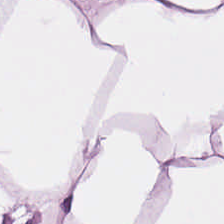Classification — fat tissue.
